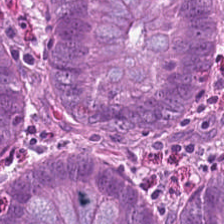Hematoxylin and eosin.
{"tissue_type": "non-neoplastic colon mucosa"}
